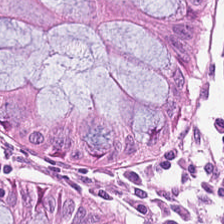Hematoxylin and eosin. 224×224 px patch — This patch shows normal colonic mucosa.
